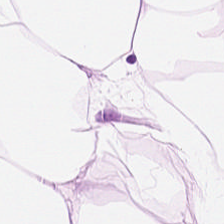H&E-stained tissue section.
Q: What type of tissue is this?
A: Fat tissue.
